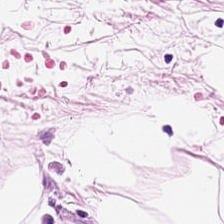Classification = adipocytes.
